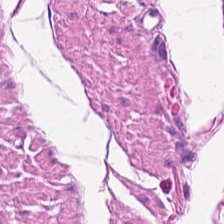Q: What type of tissue is this?
A: This is smooth muscle.
